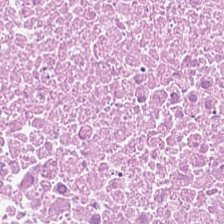H&E-stained tissue section.
{"tissue_type": "debris"}
